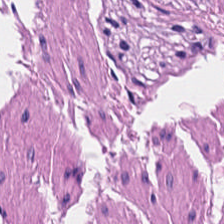This field is smooth muscle.
